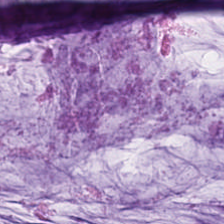Predominant tissue: mucus.
